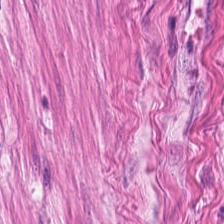Tissue type: muscularis.
